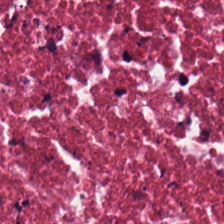FFPE tissue section. Hematoxylin-and-eosin stained section. 0.5 µm/px — Tissue = cellular debris.
